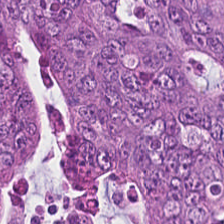H&E.
Tissue class: malignant epithelium.
